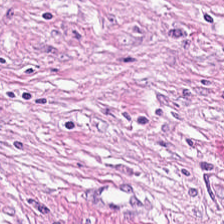0.5 microns per pixel · H&E-stained tissue section — Histology — cancer-associated stroma.
